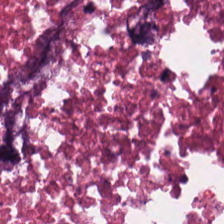Hematoxylin-and-eosin stained section · formalin-fixed paraffin-embedded section — Showing debris.
